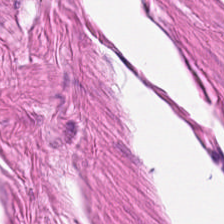Hematoxylin-and-eosin stained section — Tissue type: muscularis.
